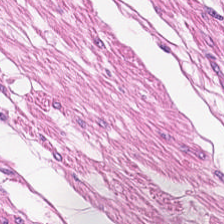224×224 px tile; H&E stain. The predominant tissue is smooth-muscle tissue.
